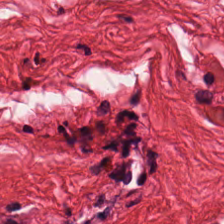Stain: H&E stain.
Acquisition: brightfield microscopy.
Tile size: 224×224 px patch.
Predominant tissue: smooth muscle.
